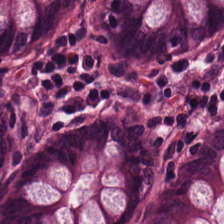H&E stain. 224×224 pixel tile.
Showing normal colon mucosa.
